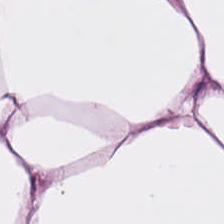FFPE tissue section. Hematoxylin-and-eosin stained section. 0.5 microns per pixel — Tissue = adipose tissue.
